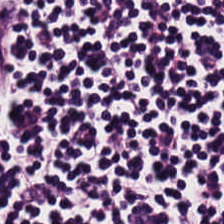FFPE; H&E. Q: Identify the tissue.
A: Lymphocytes.
